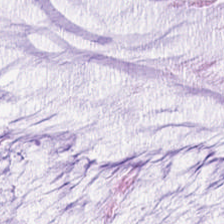Whole-slide-image patch. H&E — Histology — mucin.
